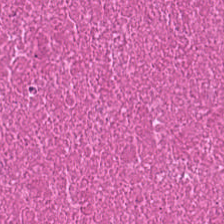H&E · brightfield microscopy — Histology — debris.
